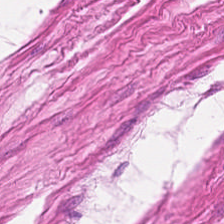Predominant tissue — muscularis.
